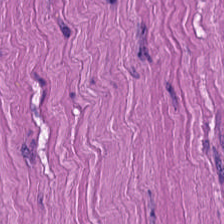H&E stain — The predominant tissue is muscularis.
